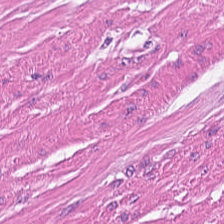224×224 px patch. Hematoxylin and eosin.
The predominant tissue is smooth-muscle tissue.
